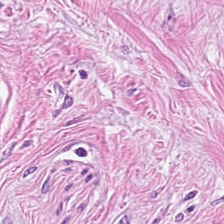Histology → tumor stroma.
